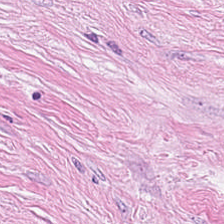H&E stain · formalin-fixed paraffin-embedded section. Q: What does this patch show?
A: The field shows cancer-associated stroma.
